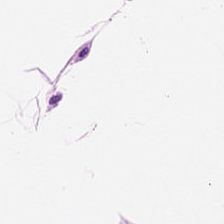Hematoxylin-and-eosin stained section.
Impression — fat tissue.
